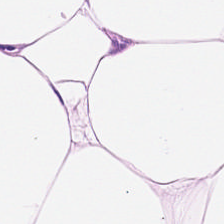The tissue is adipose tissue.
